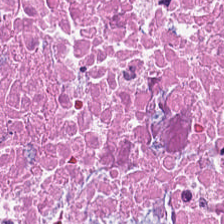H&E-stained tissue section; 224×224 pixel tile; brightfield microscopy.
The tissue here is cellular debris.
